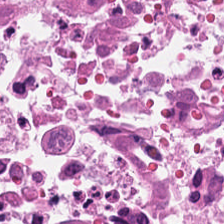0.5 µm/px. H&E — Showing debris.
